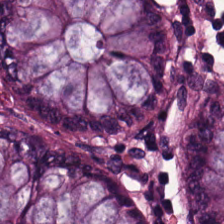Formalin-fixed paraffin-embedded section. Hematoxylin-and-eosin stained section. 0.5 microns per pixel — Q: What type of tissue is this?
A: Non-neoplastic colon mucosa.
